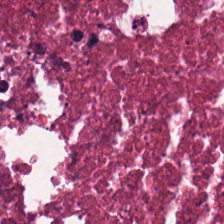H&E-stained tissue section.
Classification = necrotic debris.
